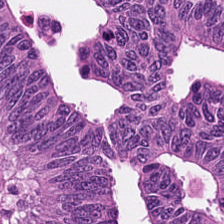Showing colorectal adenocarcinoma.
